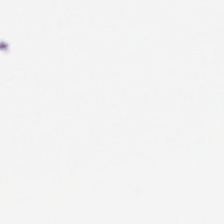H&E stain — Finding — background (no tissue).
